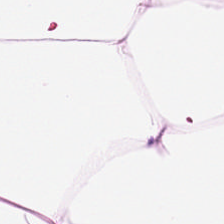224×224 px tile; H&E stain.
Q: What tissue type is shown here?
A: The field shows adipocytes.
